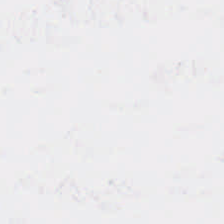Stain: H&E-stained tissue section.
Field content: no tissue.
